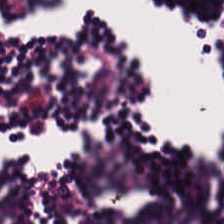Predominantly lymphocytes.
